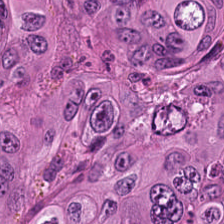H&E stain — Tissue type — malignant epithelium.
